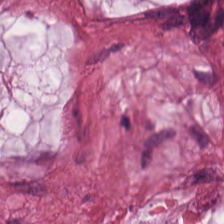Hematoxylin and eosin. Showing extracellular mucin.
